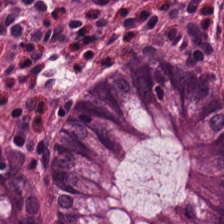H&E-stained tissue section.
Q: What is the predominant tissue type?
A: This is non-neoplastic colon mucosa.
